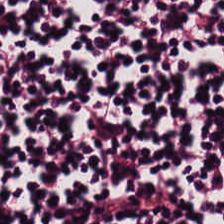H&E stain — Impression — lymphocyte aggregate.
